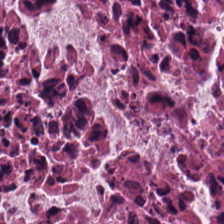H&E-stained tissue section.
Q: What type of tissue is this?
A: This is necrotic debris.
